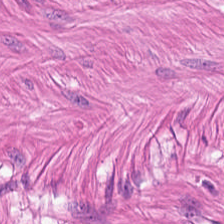H&E. 224×224 px tile. Finding — muscularis.
